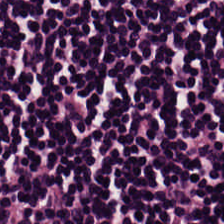H&E stain.
{"tissue_type": "lymphocyte aggregate"}
